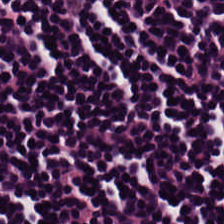Lymphocytic infiltrate.
